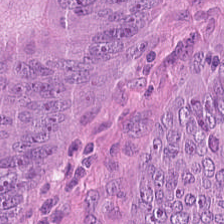224×224 px patch; whole-slide-image patch; H&E-stained tissue section — Predominant tissue — adenocarcinoma.
